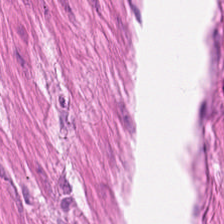H&E stain — The tissue is smooth-muscle tissue.
